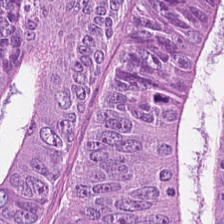Hematoxylin and eosin.
Histology — tumor epithelium.
